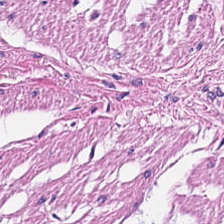Impression → smooth-muscle tissue.
